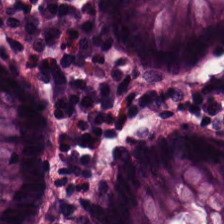Stain: H&E.
Resolution: 0.5 µm/px.
Acquisition: brightfield microscopy.
Classification: non-neoplastic colon mucosa.
